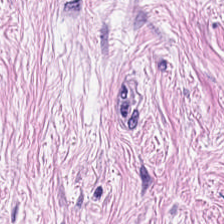Hematoxylin and eosin. 224×224 px patch.
Predominantly desmoplastic stroma.
